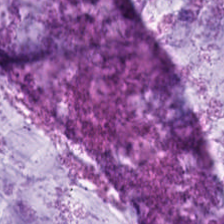Hematoxylin-and-eosin stained section. Q: What is the predominant tissue type?
A: This is extracellular mucin.
